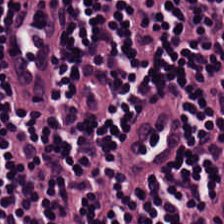H&E — Q: Classify this patch.
A: This is lymphoid infiltrate.
